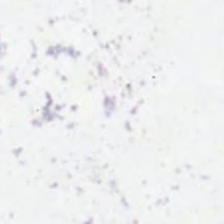No tissue present; background only.
